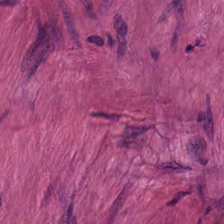H&E-stained tissue section.
The tissue is muscularis.
